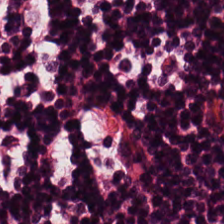Hematoxylin-and-eosin stained section. Q: What tissue is shown?
A: Lymphocytic infiltrate.
